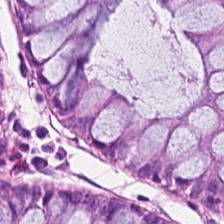H&E stain — Tissue type: non-neoplastic colon mucosa.
